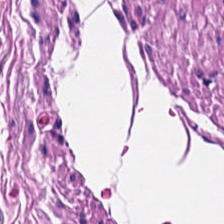Formalin-fixed paraffin-embedded section · hematoxylin and eosin · whole-slide-image patch. Tissue = smooth-muscle tissue.
